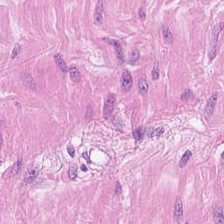H&E stain. Predominantly muscularis.
